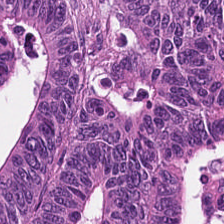H&E stain · 224×224 px tile — This field is colorectal adenocarcinoma epithelium.
